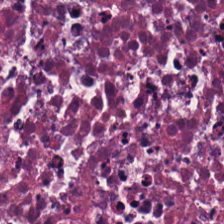0.5 µm per pixel; H&E — The predominant tissue is cellular debris.
